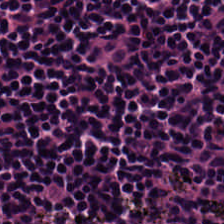Stain: hematoxylin-and-eosin stained section.
Tissue class: lymphocyte aggregate.
